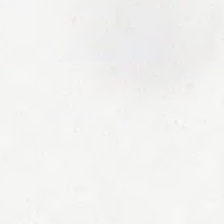H&E-stained tissue section. 224×224 px tile. {"content": "no tissue"}
